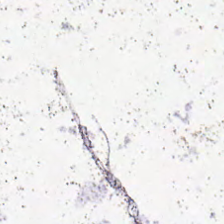Stain: H&E.
Preparation: FFPE tissue section.
Content: background (no tissue).
